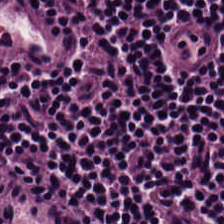H&E-stained tissue section showing lymphoid infiltrate.
